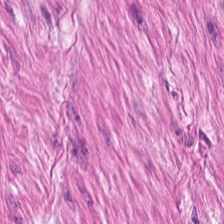Formalin-fixed paraffin-embedded section · 0.5 microns per pixel · H&E. Histology → muscularis.
